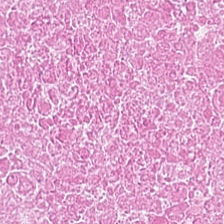H&E.
The tissue type is cellular debris.
